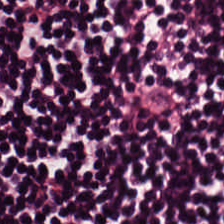H&E — Q: What tissue type is shown here?
A: It is lymphocytic infiltrate.
